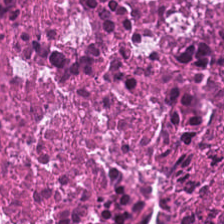Hematoxylin and eosin; 224×224 px tile.
Tissue type — necrotic debris.
